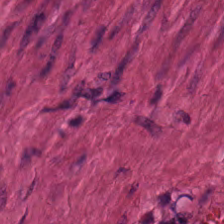H&E-stained tissue section. Whole-slide-image patch — {"tissue_type": "smooth muscle"}
